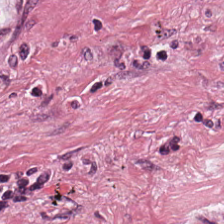Histology → desmoplastic stroma.
